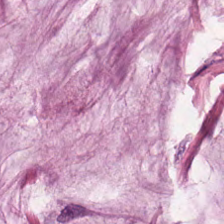H&E stain; FFPE; whole-slide-image patch. This patch shows mucin.
